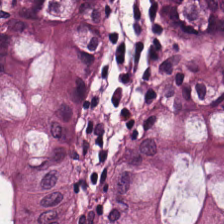Brightfield; hematoxylin and eosin; FFPE tissue section — Finding — non-neoplastic colon mucosa.
